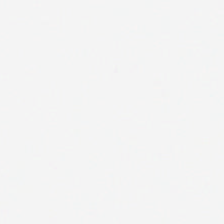H&E.
Background.
